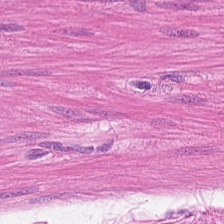H&E-stained tissue section. Brightfield microscopy. Muscularis.
